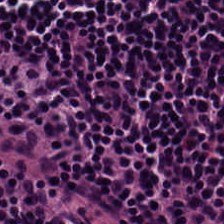H&E stain. Predominant tissue = lymphoid infiltrate.
